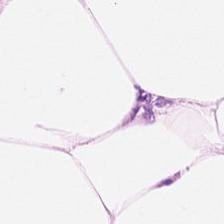Hematoxylin and eosin — Adipocytes.
